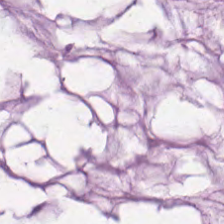224×224 pixel tile. Whole-slide-image patch. H&E-stained tissue section — Q: What tissue type is shown here?
A: This is extracellular mucin.
